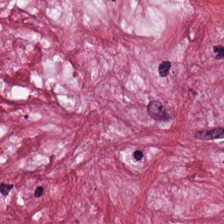Finding — tumor-associated stroma.
